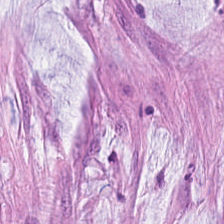Brightfield microscopy · hematoxylin and eosin. Predominantly mucus.
